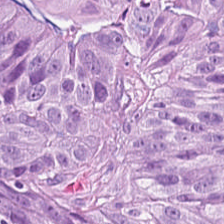H&E-stained tissue section. Showing tumor epithelium.
